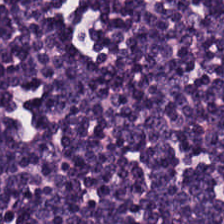Classification = lymphoid infiltrate.
